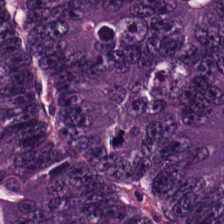0.5 microns per pixel. Whole-slide-image patch. Hematoxylin-and-eosin stained section. Q: What tissue type is shown here?
A: It is colorectal adenocarcinoma.
